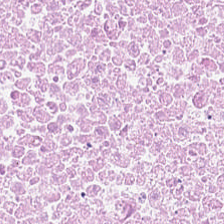Tissue type = debris.
